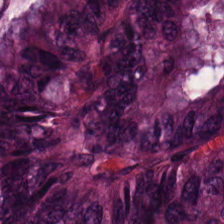Hematoxylin-and-eosin stained section. Brightfield. The tissue is colorectal adenocarcinoma.
